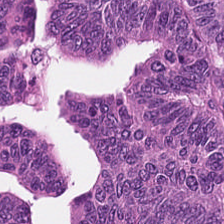Hematoxylin and eosin. Histology → malignant epithelium.
